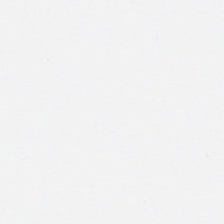Hematoxylin-and-eosin stained section. Impression — no tissue.
